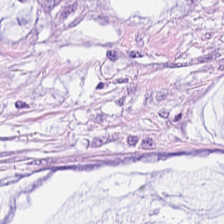H&E-stained tissue section.
The tissue is extracellular mucin.
